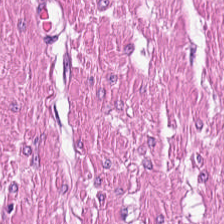FFPE · H&E-stained tissue section.
Q: What is the predominant tissue type?
A: It is muscularis.
